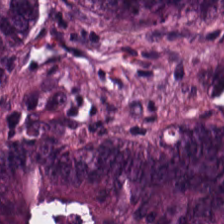H&E-stained tissue section.
The tissue here is tumor epithelium.
